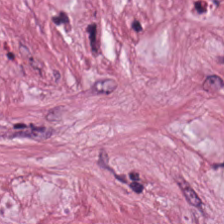Hematoxylin and eosin. 0.5 microns per pixel.
Predominantly tumor stroma.
